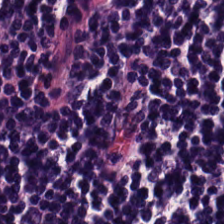0.5 microns per pixel · FFPE tissue section · H&E stain. The tissue class is lymphocytic infiltrate.
